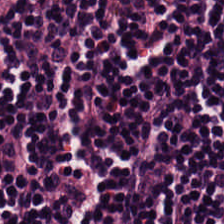H&E stain. The predominant tissue is lymphoid infiltrate.
